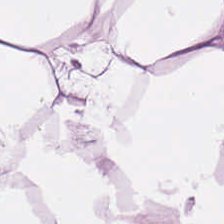H&E — Q: What tissue type is shown here?
A: Adipose.
